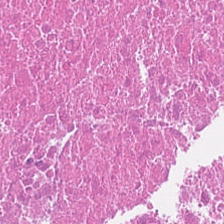H&E; whole-slide-image patch. Q: What is shown in this field?
A: This is cellular debris.
